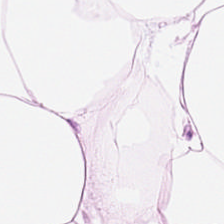H&E-stained tissue section. Whole-slide-image patch — Q: What is the predominant tissue type?
A: It is adipose tissue.
